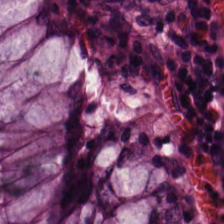H&E · 0.5 µm/px — Q: What tissue is shown?
A: Normal colonic mucosa.
